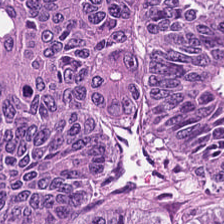0.5 µm per pixel; H&E-stained tissue section — This field is malignant epithelium.
